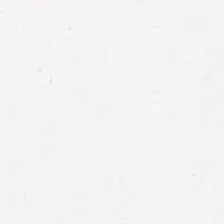Histology — empty background.
